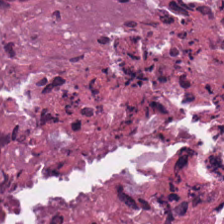Hematoxylin and eosin. Cellular debris.
